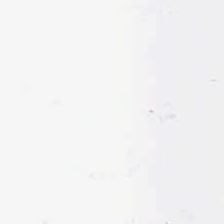H&E stain. 224×224 px tile — {"content": "no tissue"}
